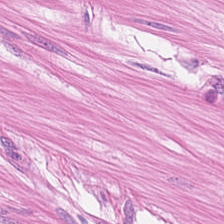224×224 px tile; FFPE; H&E — Q: What type of tissue is this?
A: Smooth muscle.
